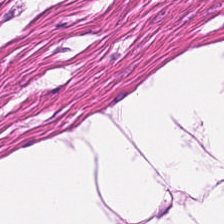H&E stain.
Tissue class: smooth-muscle tissue.
